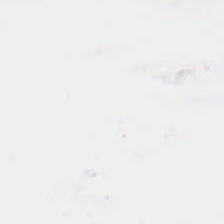Formalin-fixed paraffin-embedded section; 224×224 pixel tile; hematoxylin-and-eosin stained section. Background.
